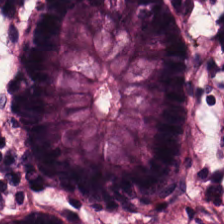H&E-stained section; the field shows normal colon mucosa.
